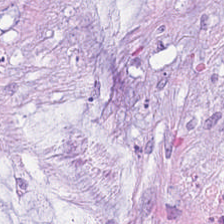Whole-slide-image patch; hematoxylin-and-eosin stained section — {"tissue_type": "mucus"}
